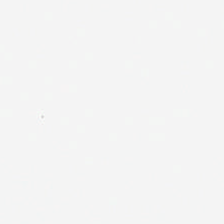The classification is background (no tissue).
